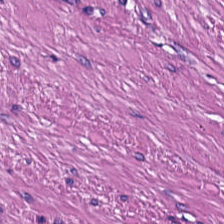Tissue — muscularis.
